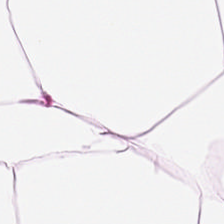Whole-slide-image patch. H&E. 20× equivalent magnification.
This patch shows adipose tissue.
